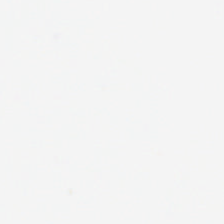H&E-stained tissue section. This patch shows no tissue.
